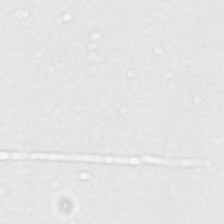224×224 pixel tile · H&E stain — Empty field — background.
